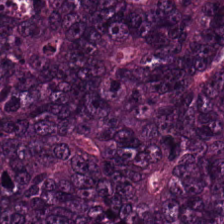Hematoxylin-and-eosin stained section — Tissue class — colorectal adenocarcinoma.
